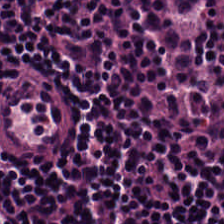H&E. Q: What is the predominant tissue type?
A: The field shows lymphocytic infiltrate.
